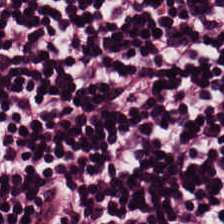H&E-stained tissue section — The tissue type is lymphoid infiltrate.
